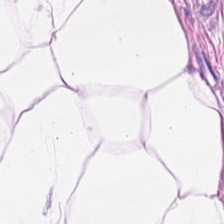Stain: H&E-stained tissue section.
Acquisition: brightfield microscopy.
Tile size: 224×224 px patch.
Predominant tissue: fat tissue.
